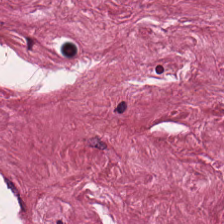Showing desmoplastic stroma.
